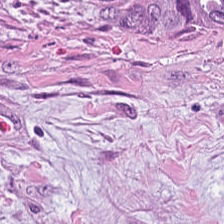FFPE tissue section; whole-slide-image patch; hematoxylin and eosin — Q: Identify the tissue.
A: This is desmoplastic stroma.
